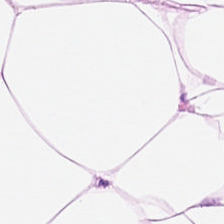224×224 px patch · 0.5 µm/px · hematoxylin-and-eosin stained section. Predominant tissue = adipocytes.
